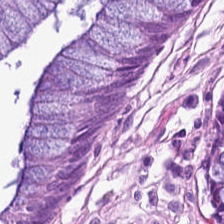H&E. 224×224 px patch — Benign colonic mucosa.
